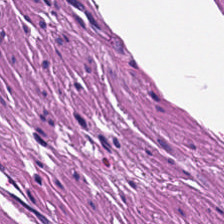Hematoxylin-and-eosin stained section. Q: Identify the tissue.
A: It is smooth-muscle tissue.
